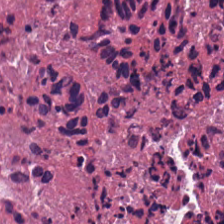224×224 px tile. Hematoxylin-and-eosin stained section.
The tissue class is cellular debris.
